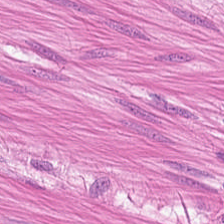H&E stain — Muscularis.
